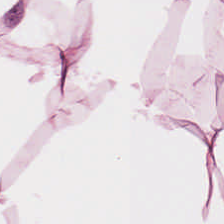Hematoxylin and eosin · brightfield. Tissue class = adipose tissue.
